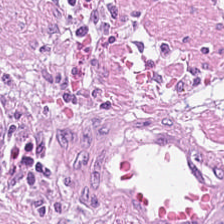WSI patch · H&E stain · 0.5 µm per pixel.
Q: Identify the tissue.
A: This is desmoplastic stroma.
